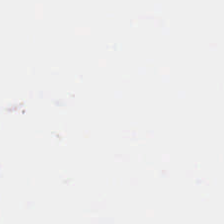Stain: hematoxylin and eosin.
Preparation: FFPE tissue section.
Classification: empty background.
